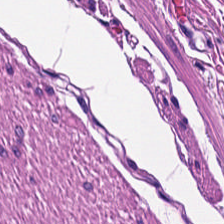H&E stain. WSI patch — Showing smooth-muscle tissue.
